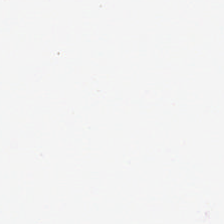Hematoxylin-and-eosin stained section. Whole-slide-image patch.
This field is background (no tissue).
